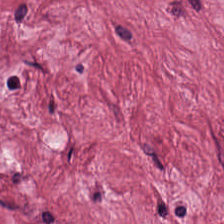H&E-stained tissue section. Whole-slide-image patch — Tissue class — cancer-associated stroma.
